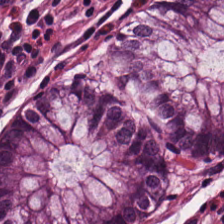Classification: normal colon mucosa.
